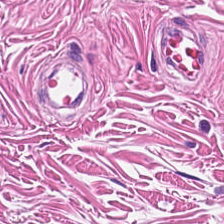H&E-stained tissue section — Predominant tissue = muscularis.
